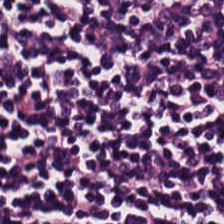Stain: hematoxylin-and-eosin stained section.
Tissue: lymphocytes.
